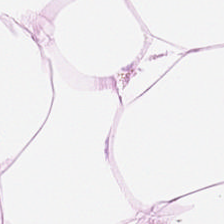Stain: hematoxylin and eosin.
Preparation: FFPE.
Tissue class: adipose.
